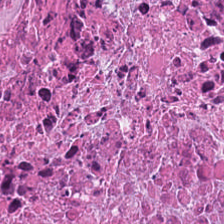H&E. Cellular debris.
